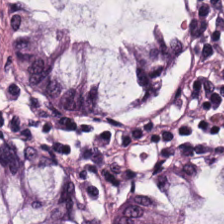Stain: hematoxylin and eosin.
Tile size: 224×224 pixel tile.
Tissue: normal colonic mucosa.
